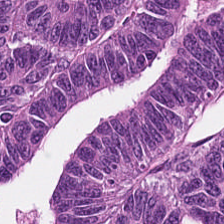Stain: H&E.
Classification: malignant epithelium.
